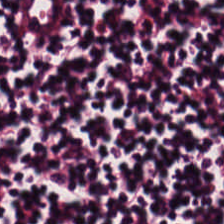Tissue class = lymphoid infiltrate.
